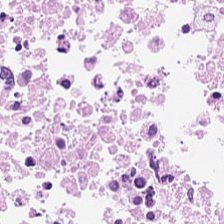H&E-stained tissue section. This field is debris.
